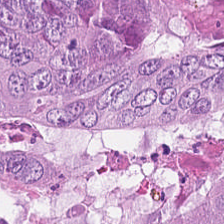Hematoxylin and eosin. 0.5 µm per pixel — Impression → colorectal adenocarcinoma epithelium.
